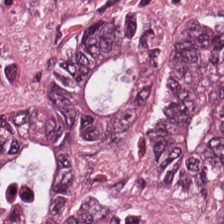Hematoxylin-and-eosin stained section.
{"tissue_type": "malignant epithelium"}
